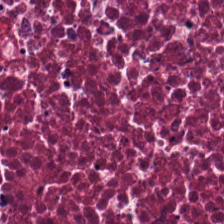Brightfield; 0.5 µm/px; H&E. This field is cellular debris.
